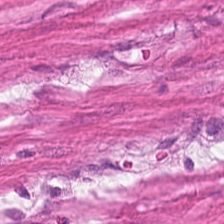224×224 px tile · hematoxylin-and-eosin stained section · whole-slide-image patch — Tissue class: muscularis.
